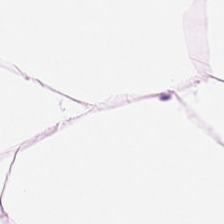Hematoxylin-and-eosin stained section. Tissue type = adipocytes.
